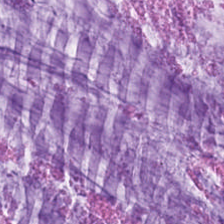Hematoxylin-and-eosin stained section.
Q: What type of tissue is this?
A: The field shows mucus.
